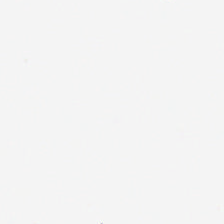H&E-stained tissue section; formalin-fixed paraffin-embedded section — Empty field — background.
